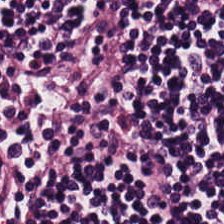H&E; 0.5 µm per pixel; formalin-fixed paraffin-embedded section. Predominantly lymphoid infiltrate.
